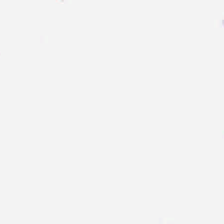Whole-slide-image patch. Hematoxylin and eosin.
Background.
